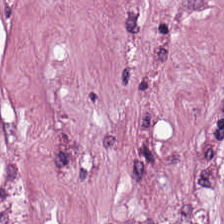Brightfield microscopy; hematoxylin and eosin; formalin-fixed paraffin-embedded section — This field is tumor stroma.
